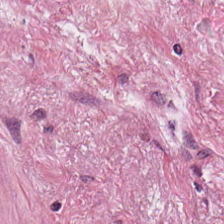Hematoxylin and eosin. Q: What is shown here?
A: It is desmoplastic stroma.
